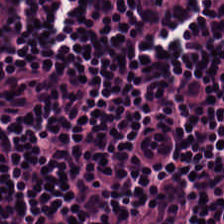The tissue type is lymphoid infiltrate.
